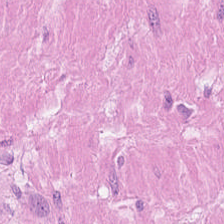Stain: hematoxylin and eosin.
Tissue: muscularis.
